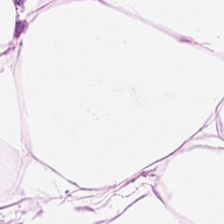H&E patch showing adipose tissue.
